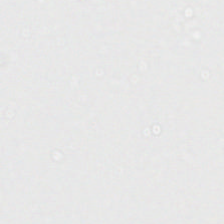No tissue present; background only.
